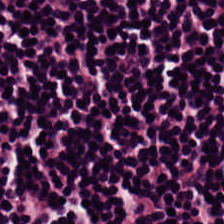{"tissue_type": "lymphocytic infiltrate"}
